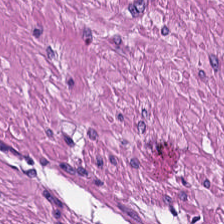{"tissue_type": "smooth muscle"}
